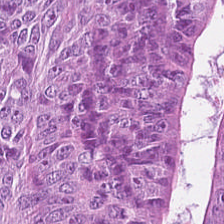Stain: H&E stain.
Classification: colorectal adenocarcinoma.
